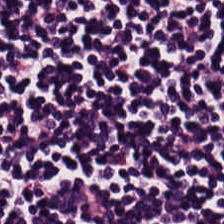H&E stain · 0.5 µm/px · 224×224 pixel tile. Histology — lymphocyte aggregate.
